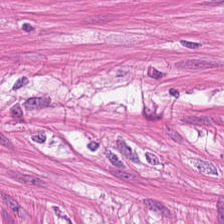Impression → smooth-muscle tissue.
